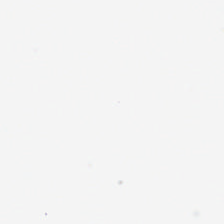The field content is background (no tissue).
